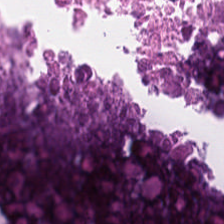Formalin-fixed paraffin-embedded section · H&E — This patch shows debris.
